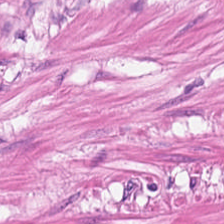224×224 px tile · WSI patch · hematoxylin-and-eosin stained section — This field is smooth muscle.
